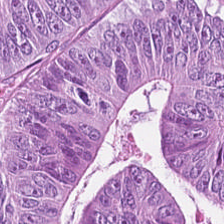H&E. 224×224 px tile. FFPE tissue section. The predominant tissue is tumor epithelium.
